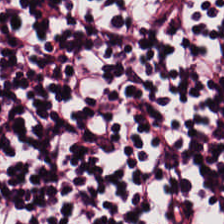The predominant tissue is lymphocytes.
